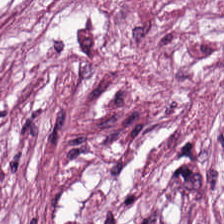H&E stain.
This field is cancer-associated stroma.
